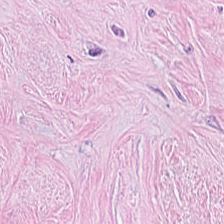H&E stain · FFPE. Cancer-associated stroma.
